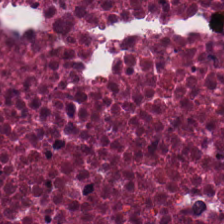Hematoxylin and eosin — The tissue here is cellular debris.
